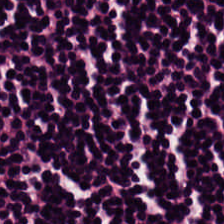Hematoxylin-and-eosin stained section.
Lymphocyte aggregate.
